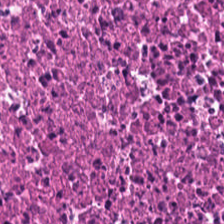Stain: H&E.
Tissue class: cellular debris.
